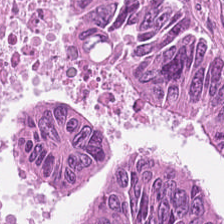H&E — malignant epithelium.
